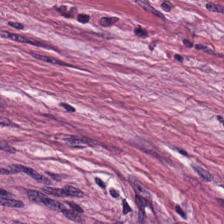Brightfield; hematoxylin-and-eosin stained section; 224×224 pixel tile — Q: What type of tissue is this?
A: The field shows desmoplastic stroma.
